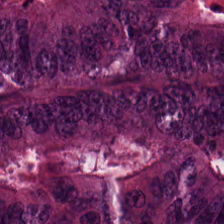Formalin-fixed paraffin-embedded section · H&E stain.
Predominantly colorectal adenocarcinoma epithelium.
